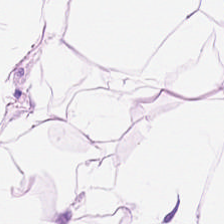Predominantly fat tissue.
